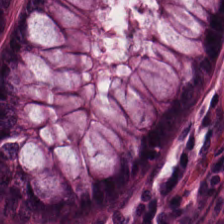H&E stain · 224×224 px tile · 20× equivalent magnification — Q: Identify the tissue.
A: It is normal colon mucosa.
